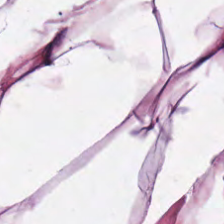H&E stain · 0.5 µm/px · 224×224 px patch — Q: What does this patch show?
A: It is adipose.
